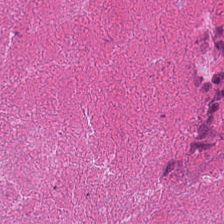Stain: hematoxylin-and-eosin stained section.
Preparation: FFPE.
Tissue: necrotic debris.
